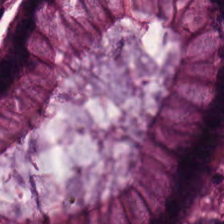H&E stain. 224×224 pixel tile — Impression → benign colonic mucosa.
